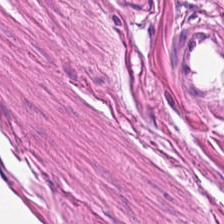Brightfield. 224×224 pixel tile. H&E stain. Predominantly smooth-muscle tissue.
